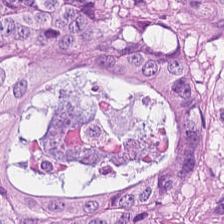H&E.
Histology — tumor epithelium.
